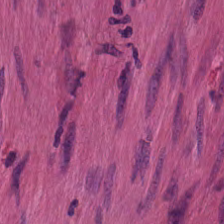Showing smooth-muscle tissue.
